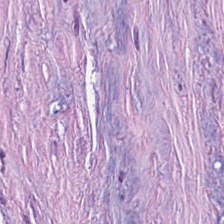H&E-stained tissue section · 224×224 pixel tile · 20× equivalent magnification.
This field is cancer-associated stroma.
